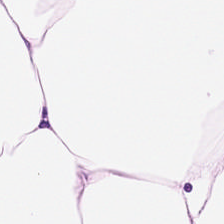H&E.
The tissue type is adipose.
